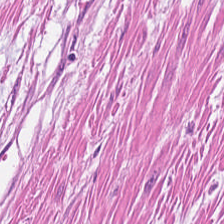H&E-stained tissue section — This patch shows muscularis.
